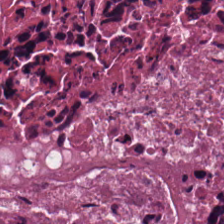Predominant tissue = debris.
